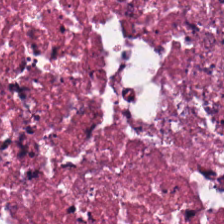Formalin-fixed paraffin-embedded section; WSI patch; hematoxylin-and-eosin stained section.
Classification: necrotic debris.
